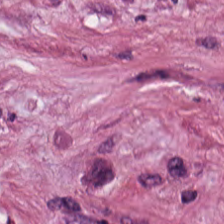H&E stain.
Tissue type = cancer-associated stroma.
